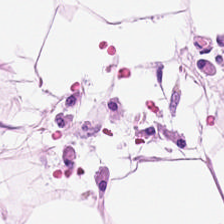Predominant tissue = adipose.
